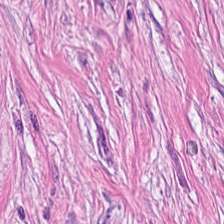Hematoxylin and eosin. Predominant tissue: cancer-associated stroma.
